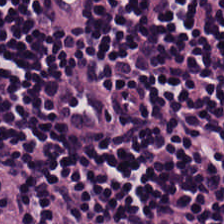Hematoxylin and eosin. Formalin-fixed paraffin-embedded section — Histology — lymphocytes.
